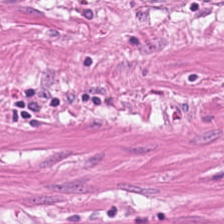H&E stain.
The predominant tissue is smooth muscle.
